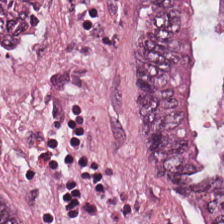Stain: H&E-stained tissue section.
Preparation: FFPE.
Classification: tumor epithelium.
